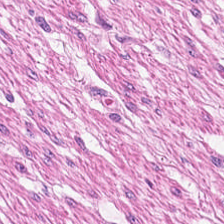The tissue class is smooth muscle.
